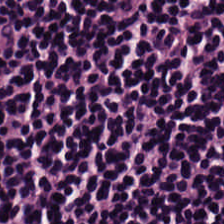Stain: hematoxylin-and-eosin stained section.
Tissue: lymphocyte aggregate.
